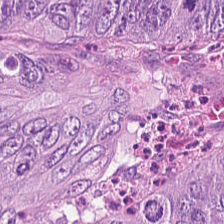{"tissue_type": "malignant epithelium"}
